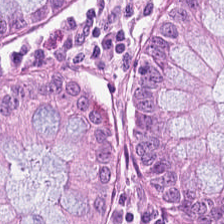Formalin-fixed paraffin-embedded section · hematoxylin and eosin · 0.5 µm per pixel — Q: What is shown here?
A: The field shows normal colon mucosa.
